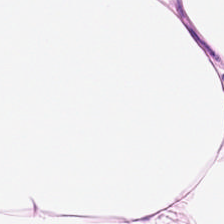H&E-stained tissue section — The predominant tissue is adipose tissue.
